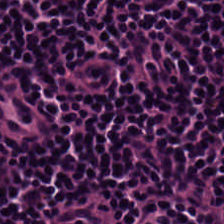H&E. 0.5 µm/px. Histology → lymphocyte aggregate.
